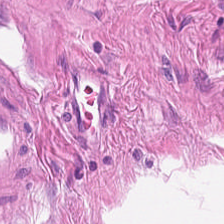Stain: hematoxylin-and-eosin stained section.
Predominant tissue: smooth-muscle tissue.
